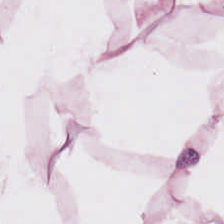{"tissue_type": "adipocytes"}
